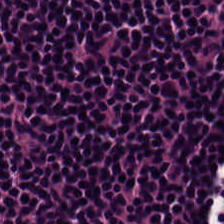Tissue class: lymphocytes.
